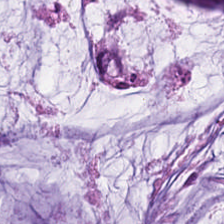Hematoxylin and eosin — The predominant tissue is extracellular mucin.
